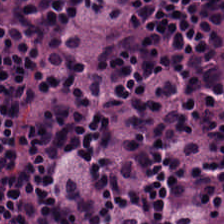Q: What is shown in this field?
A: Lymphocytes.
